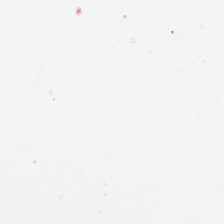Hematoxylin and eosin; brightfield microscopy; 0.5 µm per pixel — Q: What is shown here?
A: This is background (no tissue).
